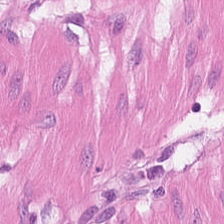0.5 µm/px; hematoxylin and eosin; formalin-fixed paraffin-embedded section. Impression → muscularis.
